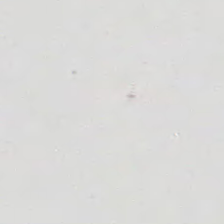0.5 µm/px; hematoxylin-and-eosin stained section — This field is background (no tissue).
